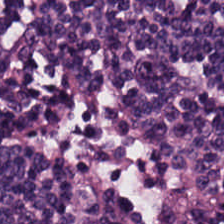0.5 µm per pixel. H&E-stained tissue section. 224×224 px patch.
The predominant tissue is lymphocytic infiltrate.
